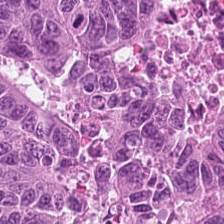H&E — Showing adenocarcinoma.
